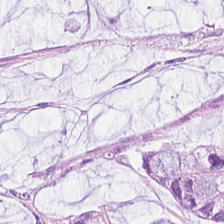224×224 pixel tile · hematoxylin-and-eosin stained section · FFPE — Q: What does this patch show?
A: Extracellular mucin.
